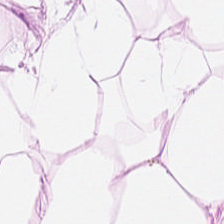Hematoxylin and eosin.
Finding — adipocytes.
